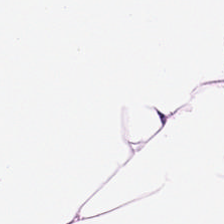Hematoxylin-and-eosin stained section — The tissue here is adipocytes.
